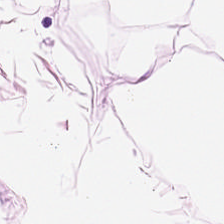0.5 µm per pixel; hematoxylin and eosin.
Adipose.
